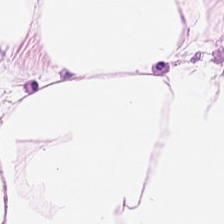This field is adipose tissue.
